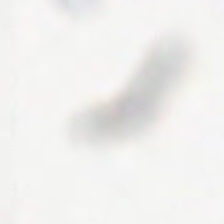H&E stain — Q: What is shown here?
A: The field shows no tissue.
